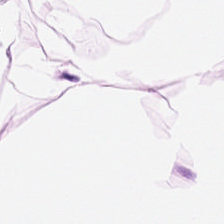224×224 px patch. 0.5 microns per pixel. Hematoxylin and eosin. Q: What tissue is shown?
A: This is adipose.
